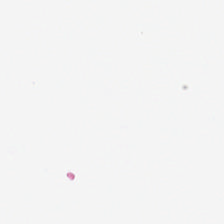Hematoxylin-and-eosin stained section — Histology — no tissue.
